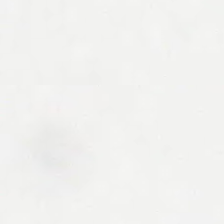Content = empty background.
